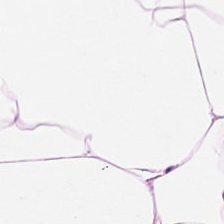Predominantly fat tissue.
